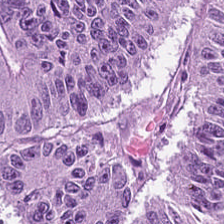Hematoxylin-and-eosin stained section · FFPE tissue section.
Classification: colorectal adenocarcinoma epithelium.
